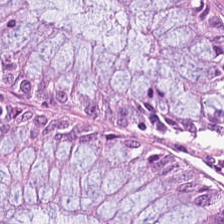Tissue class — normal colonic mucosa.
